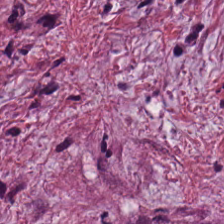FFPE. H&E.
Q: What is shown in this field?
A: It is cancer-associated stroma.
